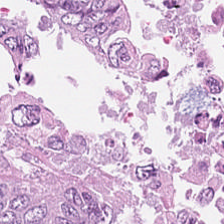{"tissue_type": "colorectal adenocarcinoma epithelium"}
